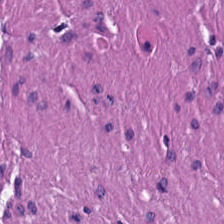Q: Identify the tissue.
A: Smooth-muscle tissue.
